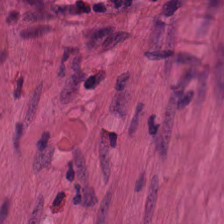Stain: hematoxylin-and-eosin stained section.
Classification: smooth muscle.
